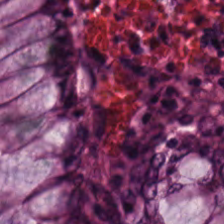224×224 pixel tile · H&E.
This patch shows normal colon mucosa.
